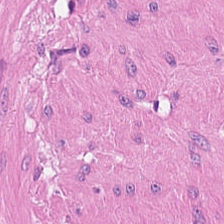H&E-stained tissue section — Finding → muscularis.
